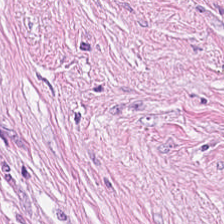0.5 µm/px; H&E-stained tissue section; brightfield microscopy.
The tissue here is desmoplastic stroma.
